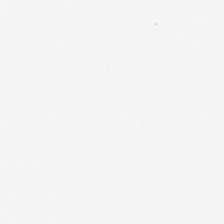Stain: hematoxylin and eosin.
Acquisition: brightfield.
Field content: background (no tissue).
